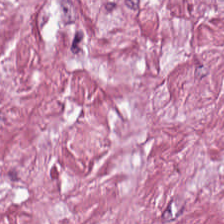H&E-stained tissue section. FFPE.
Tissue: tumor-associated stroma.
